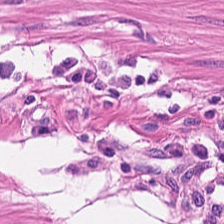224×224 pixel tile · H&E stain. The predominant tissue is smooth muscle.
